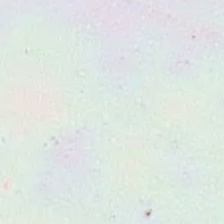Hematoxylin and eosin. Q: Classify this patch.
A: This is background (no tissue).
